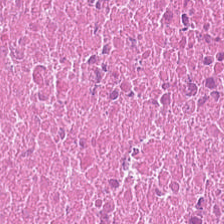0.5 µm per pixel; hematoxylin and eosin — Histology → necrotic debris.
